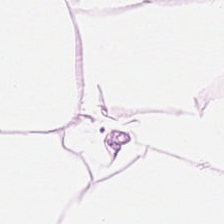Hematoxylin-and-eosin stained section. The classification is adipose tissue.
